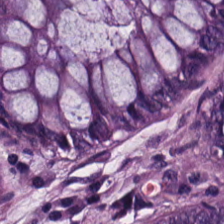Brightfield. Hematoxylin and eosin. The tissue type is normal colonic mucosa.
